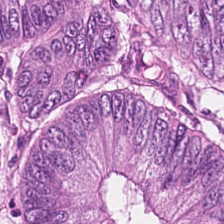H&E stain; 0.5 µm per pixel. Tissue class — malignant epithelium.
